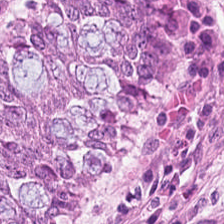H&E stain. Tissue class — non-neoplastic colon mucosa.
